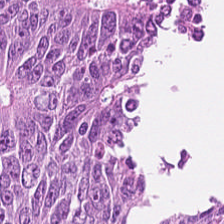FFPE. Hematoxylin-and-eosin stained section.
The classification is adenocarcinoma.
